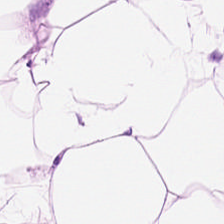224×224 px tile; hematoxylin and eosin — Q: Identify the tissue.
A: The field shows fat tissue.
